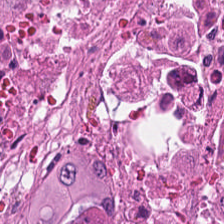H&E stain.
Predominant tissue — necrotic debris.
